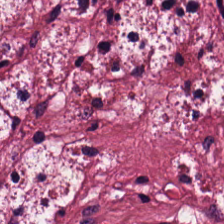H&E stain. Tissue class: cancer-associated stroma.
